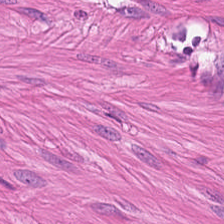Hematoxylin-and-eosin stained section — Classification: smooth-muscle tissue.
